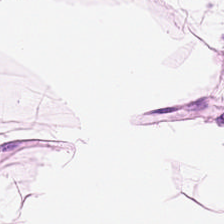Finding — fat tissue.
